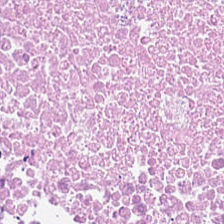Hematoxylin-and-eosin section: cellular debris.
